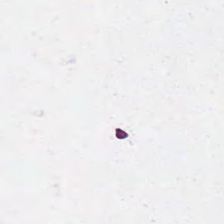Whole-slide-image patch; H&E-stained tissue section.
Field content — background (no tissue).
